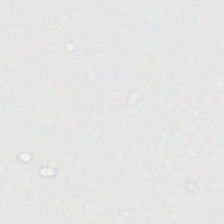Histology — no tissue.
